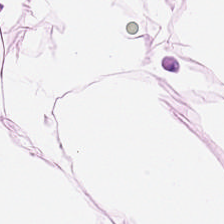H&E stain; 224×224 px tile. Q: Classify this patch.
A: It is fat tissue.
